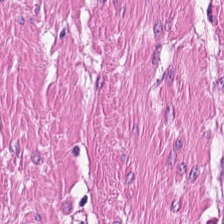H&E stain — Tissue type — muscularis.
